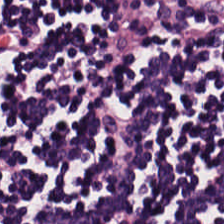H&E-stained tissue section showing lymphocytic infiltrate.
